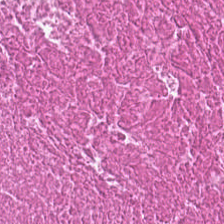Stain: H&E.
Predominant tissue: necrotic debris.
